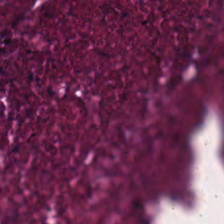H&E-stained tissue section. The tissue here is necrotic debris.
